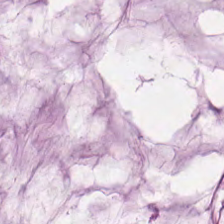H&E-stained tissue section · WSI patch.
Classification: extracellular mucin.
